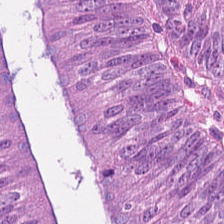Formalin-fixed paraffin-embedded section. H&E stain. This patch shows colorectal adenocarcinoma.
